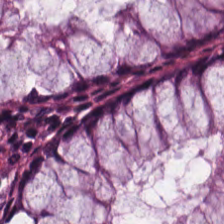Q: What does this patch show?
A: Normal colonic mucosa.
